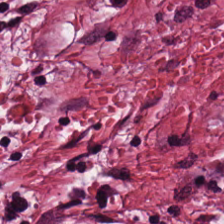Stain: H&E-stained tissue section.
Classification: tumor stroma.
